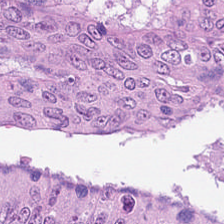Predominantly malignant epithelium.
